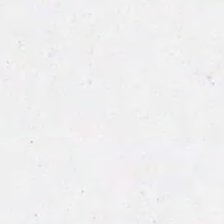H&E. No tissue.
